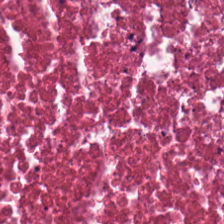0.5 µm per pixel · whole-slide-image patch · hematoxylin and eosin.
Showing debris.
